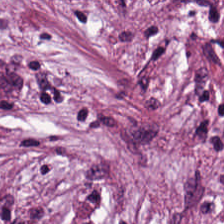Hematoxylin and eosin; 0.5 µm/px.
Q: Identify the tissue.
A: Desmoplastic stroma.
